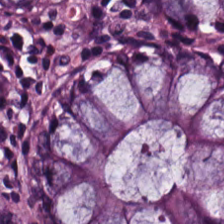FFPE; H&E-stained tissue section; 224×224 px tile — The tissue here is normal colon mucosa.
